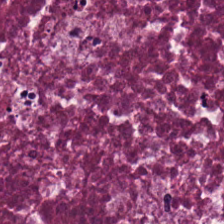H&E-stained tissue section. FFPE.
Cellular debris.
